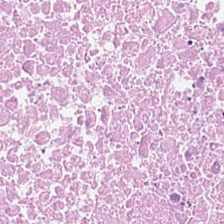H&E.
The classification is debris.
